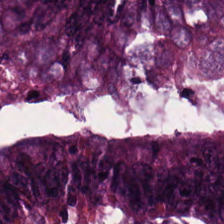H&E patch showing malignant epithelium.
